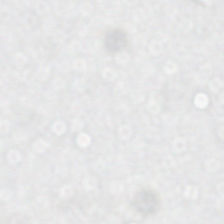H&E. 224×224 px tile — The field content is background.
